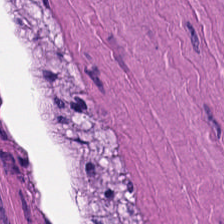Hematoxylin-and-eosin stained section — Muscularis.
